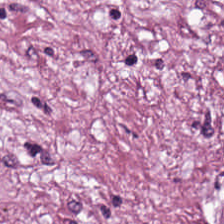Stain: hematoxylin and eosin.
Tissue: tumor stroma.
